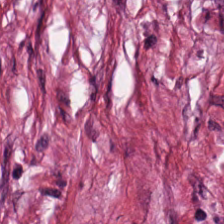Hematoxylin-and-eosin stained section.
Predominantly desmoplastic stroma.
